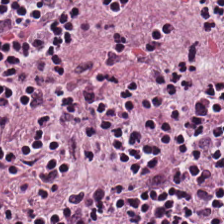H&E — lymphoid infiltrate.
